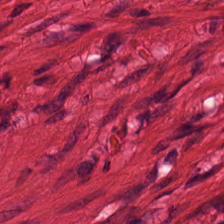H&E-stained tissue section — Tissue — smooth-muscle tissue.
